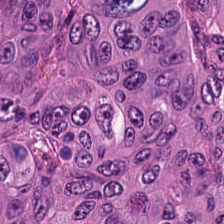H&E — The tissue here is tumor epithelium.
